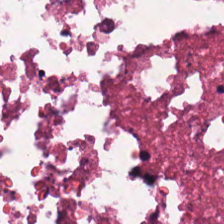224×224 pixel tile. Hematoxylin-and-eosin stained section. The tissue here is necrotic debris.
